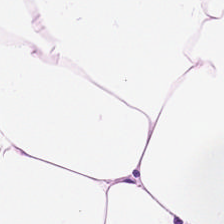The predominant tissue is adipose.
